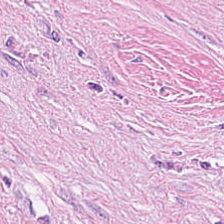H&E — Predominantly cancer-associated stroma.
